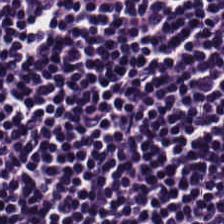Stain: H&E stain.
Tissue type: lymphocytic infiltrate.
